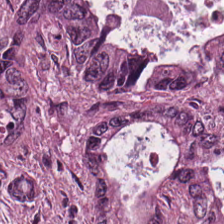H&E-stained section; the field shows adenocarcinoma.
